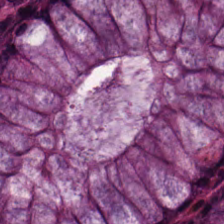H&E-stained tissue section. Predominant tissue: normal colon mucosa.
